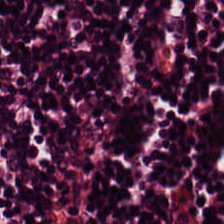Stain: hematoxylin and eosin.
Tissue class: lymphocyte aggregate.
